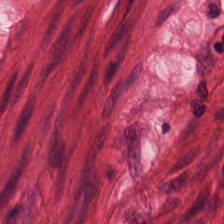Hematoxylin and eosin.
This patch shows muscularis.
